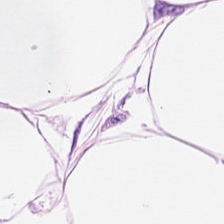{"tissue_type": "adipose tissue"}
